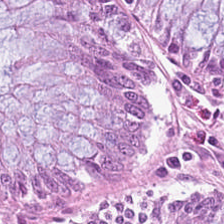{"tissue_type": "normal colonic mucosa"}
